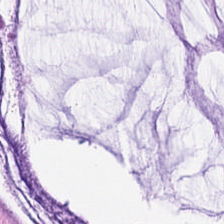H&E — Q: What tissue type is shown here?
A: The field shows mucin.
